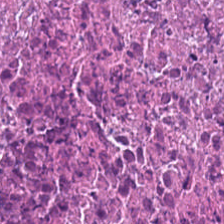H&E. Impression — necrotic debris.
